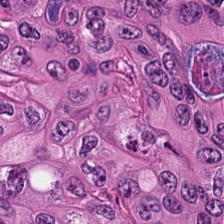H&E; 224×224 pixel tile; 0.5 microns per pixel — Predominant tissue — tumor epithelium.
